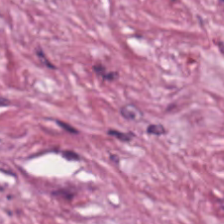H&E. Classification = desmoplastic stroma.
